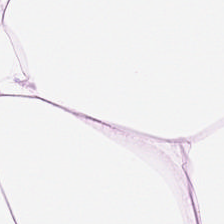Hematoxylin-and-eosin stained section — This patch shows adipocytes.
